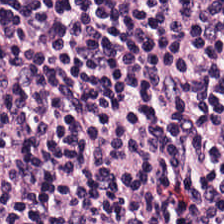Hematoxylin and eosin.
Tissue: lymphocyte aggregate.
